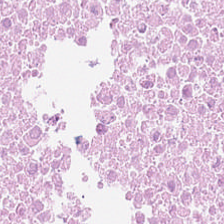H&E stain. Brightfield.
{"tissue_type": "necrotic debris"}
